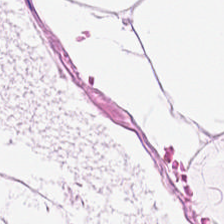Stain: hematoxylin and eosin.
Resolution: 0.5 µm/px.
Classification: fat tissue.
